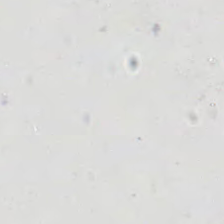H&E-stained tissue section.
{"content": "no tissue"}
